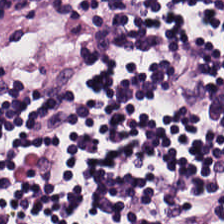Formalin-fixed paraffin-embedded section · hematoxylin-and-eosin stained section.
Tissue = lymphocytes.
